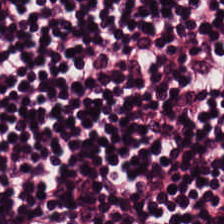This field is lymphoid infiltrate.
